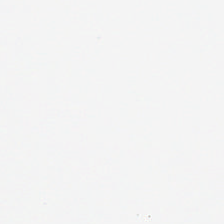20× equivalent magnification · H&E-stained tissue section — Impression → empty background.
